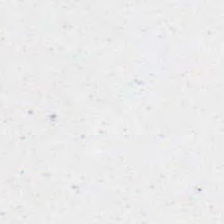Stain: H&E.
Classification: no tissue.
